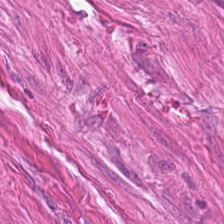The tissue here is smooth muscle.
